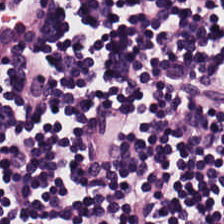The tissue here is lymphocytic infiltrate.
